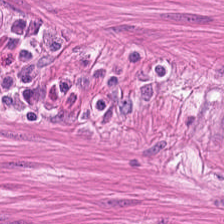H&E; 20× equivalent magnification. Showing smooth-muscle tissue.
